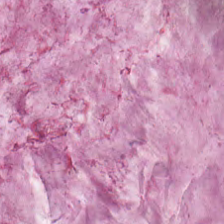H&E-stained tissue section showing mucin.
